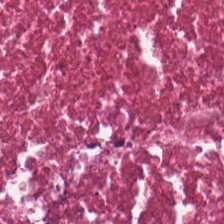H&E stain. Debris.
